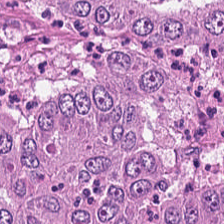Brightfield microscopy. 224×224 px tile. H&E-stained tissue section.
Tissue: colorectal adenocarcinoma.
